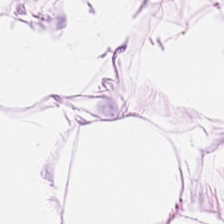Stain: H&E.
Tile size: 224×224 px tile.
Classification: adipocytes.
